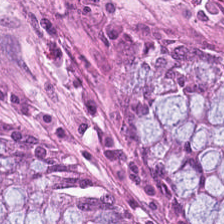H&E.
Histology → non-neoplastic colon mucosa.
